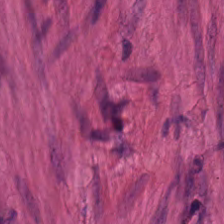Stain: H&E-stained tissue section.
Tile size: 224×224 px patch.
Resolution: 0.5 µm per pixel.
Predominant tissue: smooth muscle.
